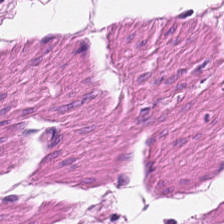224×224 pixel tile; 0.5 microns per pixel; hematoxylin-and-eosin stained section — Classification: muscularis.
